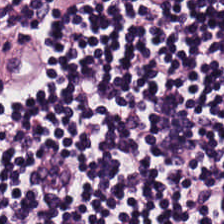224×224 pixel tile · hematoxylin and eosin · FFPE tissue section. This field is lymphocyte aggregate.
